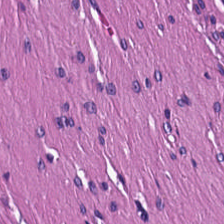Predominantly muscularis.
